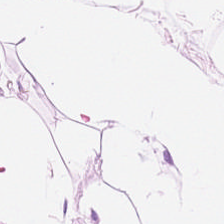Histology → fat tissue.
